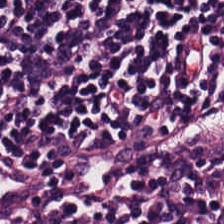H&E-stained tissue section; 224×224 px tile — Histology → lymphocyte aggregate.
